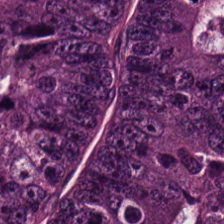The tissue here is adenocarcinoma.
